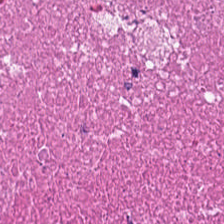Classification = debris.
